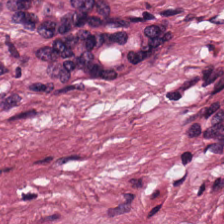Impression → desmoplastic stroma.
